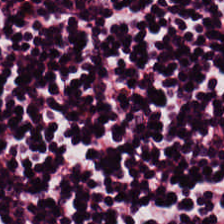FFPE. H&E.
The tissue here is lymphocytic infiltrate.
